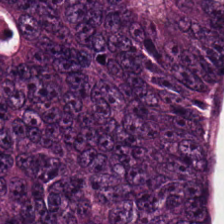H&E-stained tissue section — Tissue — colorectal adenocarcinoma.
